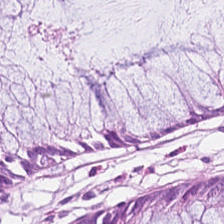H&E-stained tissue section — Classification: normal colon mucosa.
